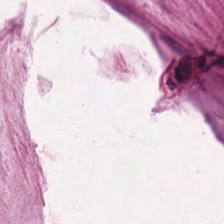H&E — This patch shows extracellular mucin.
